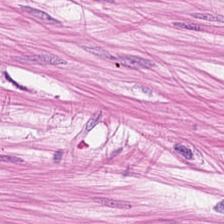The classification is smooth muscle.
